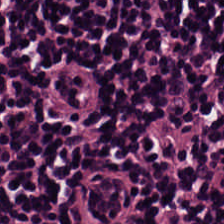Hematoxylin and eosin. 0.5 microns per pixel. 224×224 px tile. The predominant tissue is lymphoid infiltrate.
